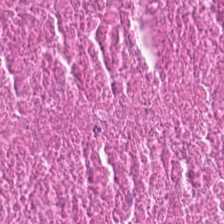Stain: H&E-stained tissue section.
Tile size: 224×224 px tile.
Tissue class: necrotic debris.
